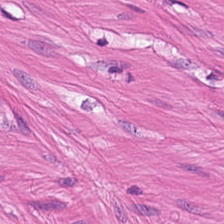H&E-stained tissue section. Tissue class: smooth muscle.
